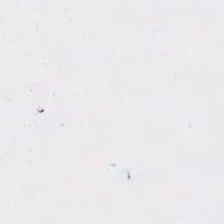The content is background (no tissue).
